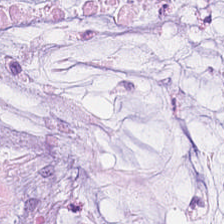20× equivalent magnification; WSI patch; H&E-stained tissue section — The tissue here is mucus.
